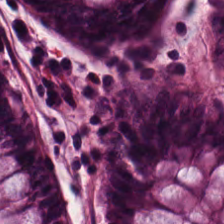Finding → non-neoplastic colon mucosa.
